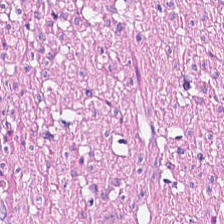Hematoxylin-and-eosin stained section.
Predominant tissue: smooth-muscle tissue.
